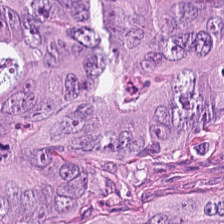Brightfield. 0.5 µm/px. Hematoxylin and eosin. This field is colorectal adenocarcinoma epithelium.
